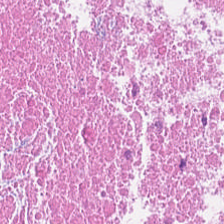Stain: H&E-stained tissue section.
Tissue: debris.
